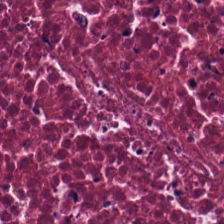Classification: debris.
